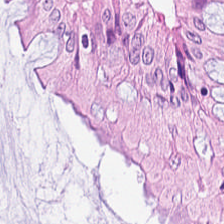Q: Classify this patch.
A: The field shows benign colonic mucosa.
